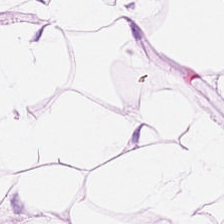H&E.
Q: What tissue type is shown here?
A: Adipose tissue.
